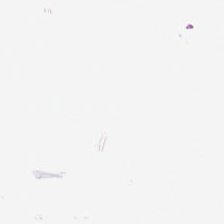H&E stain — This field is background (no tissue).
